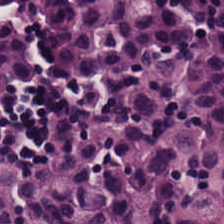224×224 px patch · H&E-stained tissue section. Q: What tissue is shown?
A: This is lymphoid infiltrate.
